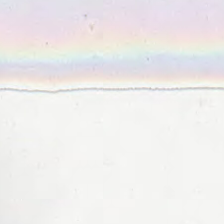H&E.
This field is background (no tissue).
